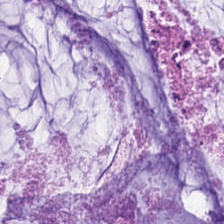H&E stain — Mucin.
